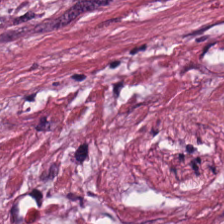Hematoxylin-and-eosin stained section.
The tissue here is desmoplastic stroma.
